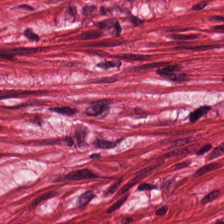Brightfield. FFPE tissue section. H&E-stained tissue section. Tissue type = smooth muscle.
